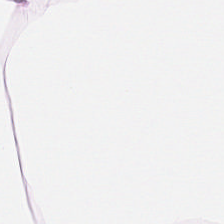FFPE tissue section · H&E stain · 224×224 px tile.
The tissue here is adipocytes.
